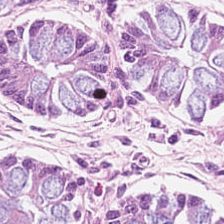Stain: H&E-stained tissue section.
Tissue: normal colonic mucosa.
